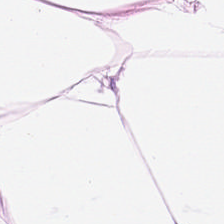H&E — Histology → adipose tissue.
